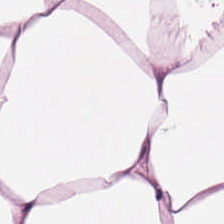Stain: hematoxylin and eosin.
Classification: fat tissue.
